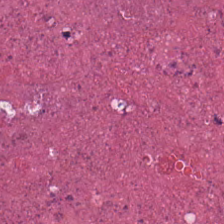Hematoxylin-and-eosin stained section; 20× equivalent magnification.
Histology → necrotic debris.
